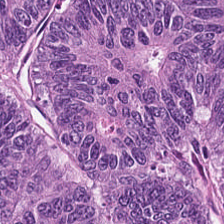Hematoxylin and eosin. Formalin-fixed paraffin-embedded section — The tissue here is malignant epithelium.
